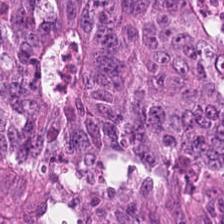Hematoxylin and eosin — The tissue here is adenocarcinoma.
